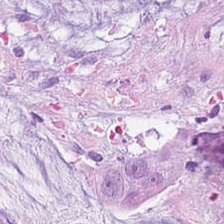Formalin-fixed paraffin-embedded section. H&E-stained tissue section — The predominant tissue is mucus.
